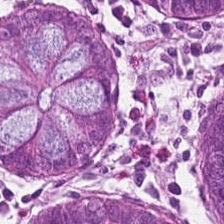H&E-stained tissue section. 224×224 px patch. Finding — normal colon mucosa.
